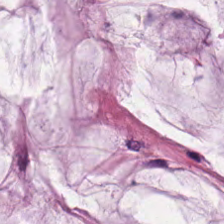H&E — This patch shows extracellular mucin.
